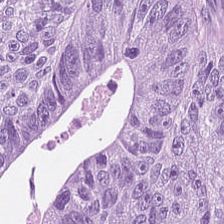0.5 µm per pixel. H&E-stained tissue section.
The predominant tissue is colorectal adenocarcinoma.
